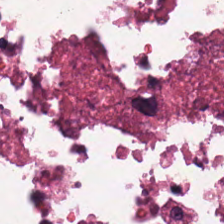Hematoxylin and eosin. 224×224 px tile.
Q: What is shown in this field?
A: This is debris.
